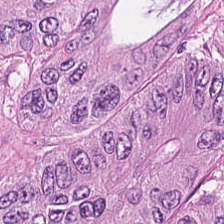H&E-stained section; the field shows adenocarcinoma.
